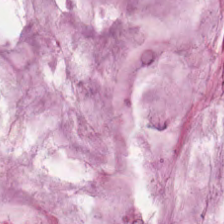Hematoxylin-and-eosin stained section.
Q: What tissue is shown?
A: Mucus.
